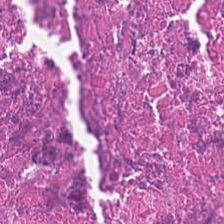Impression — debris.
